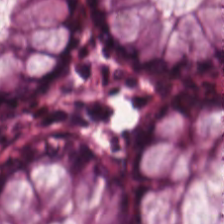H&E stain — This patch shows normal colonic mucosa.
